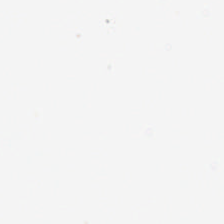H&E.
Background — no tissue in this field.
